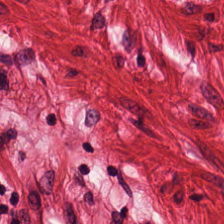Formalin-fixed paraffin-embedded section · hematoxylin-and-eosin stained section · 0.5 microns per pixel — Impression → smooth muscle.
